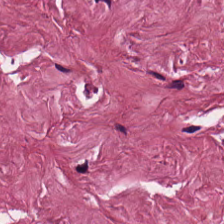FFPE · hematoxylin and eosin · whole-slide-image patch.
Classification: tumor stroma.
